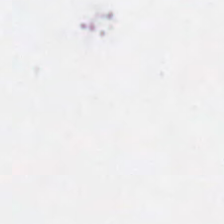Q: What does this patch show?
A: No tissue.
